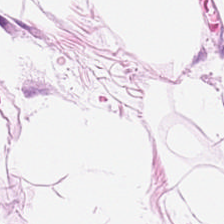Hematoxylin-and-eosin stained section — Predominant tissue: adipocytes.
